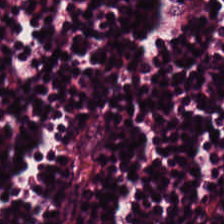H&E-stained tissue section — Showing lymphocyte aggregate.
